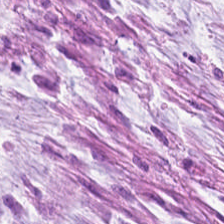WSI patch; H&E.
This patch shows mucus.
